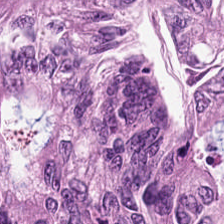H&E; whole-slide-image patch. This field is colorectal adenocarcinoma.
